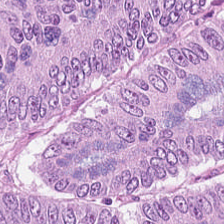224×224 px tile; hematoxylin and eosin — Predominant tissue = malignant epithelium.
